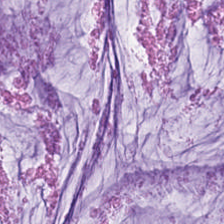H&E stain. 0.5 µm/px. Q: What type of tissue is this?
A: Extracellular mucin.
